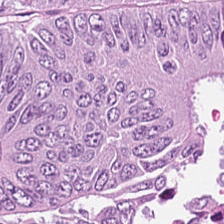H&E-stained tissue section; brightfield.
The predominant tissue is tumor epithelium.
